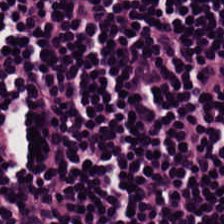Q: What tissue is shown?
A: This is lymphocytes.
